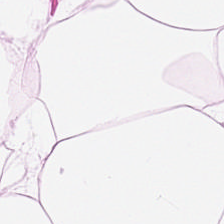H&E-stained tissue section.
Q: What type of tissue is this?
A: It is adipose.
